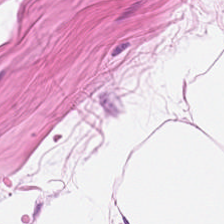H&E.
Q: What tissue is shown?
A: This is adipose tissue.
